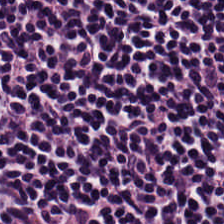Hematoxylin-and-eosin section: lymphocytes.
